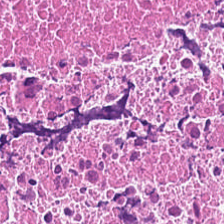0.5 microns per pixel · H&E-stained tissue section. Q: What tissue type is shown here?
A: It is debris.
